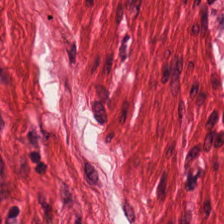Brightfield microscopy · hematoxylin and eosin. Tissue — smooth-muscle tissue.
